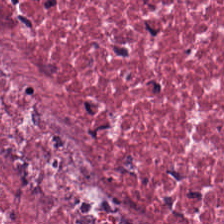20× equivalent magnification · 224×224 pixel tile · H&E. The predominant tissue is cancer-associated stroma.
